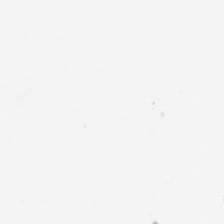No tissue present; background only.
